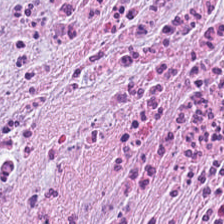Hematoxylin and eosin.
{"tissue_type": "cancer-associated stroma"}
